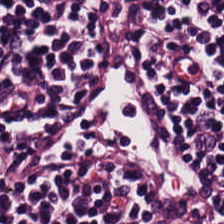Q: What does this patch show?
A: The field shows lymphocytic infiltrate.
